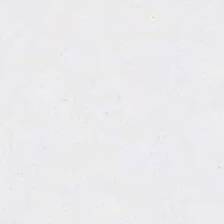Background — no tissue in this field.
